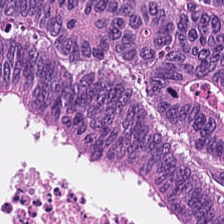Q: What tissue type is shown here?
A: This is adenocarcinoma.
